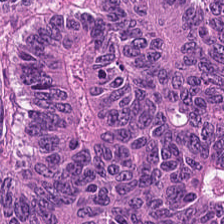Impression → malignant epithelium.
